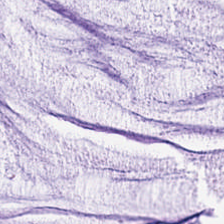Hematoxylin and eosin — Q: What is shown here?
A: Mucus.
